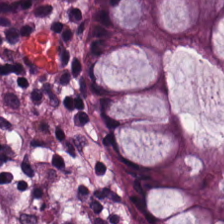Tissue type — non-neoplastic colon mucosa.
